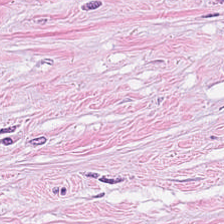Tissue type: cancer-associated stroma.
